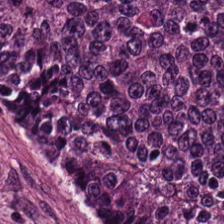H&E stain — The predominant tissue is adenocarcinoma.
